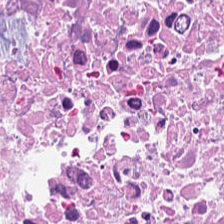This patch shows necrotic debris.
